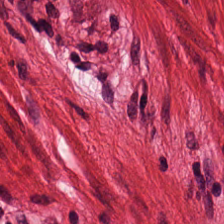20× equivalent magnification; FFPE; hematoxylin and eosin.
Q: Classify this patch.
A: The field shows smooth-muscle tissue.
